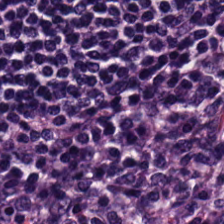The tissue here is lymphocytes.
